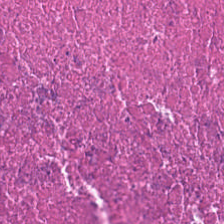H&E-stained tissue section; FFPE tissue section.
The tissue class is necrotic debris.
